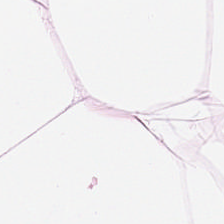H&E · 0.5 µm/px.
The predominant tissue is adipose.
